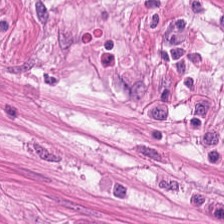H&E-stained tissue section. The predominant tissue is muscularis.
